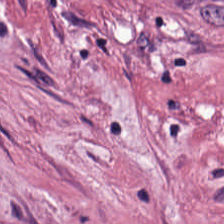Hematoxylin and eosin. Whole-slide-image patch. This field is cancer-associated stroma.
